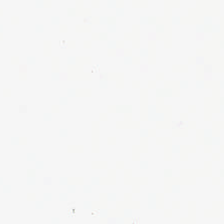20× equivalent magnification. Hematoxylin-and-eosin stained section — Q: What is shown here?
A: Background (no tissue).
